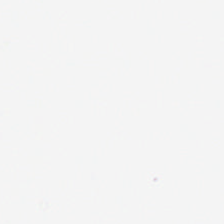H&E-stained tissue section; 0.5 microns per pixel — The content is background.
